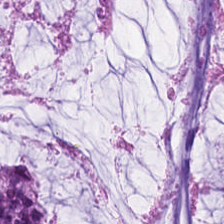H&E-stained tissue section.
Tissue class = mucin.
